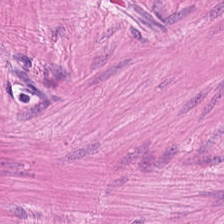Stain: H&E stain.
Resolution: 0.5 µm/px.
Preparation: formalin-fixed paraffin-embedded section.
Tissue class: smooth muscle.
